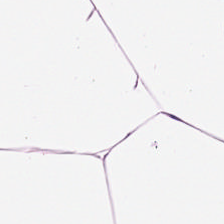H&E stain — This field is adipose.
